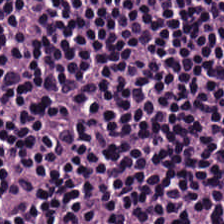Stain: H&E-stained tissue section.
Tissue: lymphocytes.
